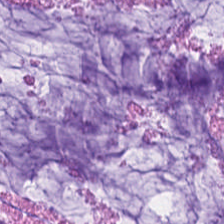H&E-stained section; the field shows mucus.
